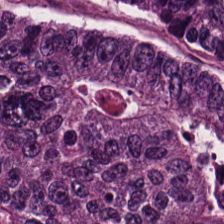Hematoxylin and eosin. Brightfield microscopy — Predominant tissue: malignant epithelium.
